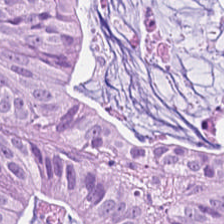Hematoxylin and eosin.
This patch shows adenocarcinoma.
